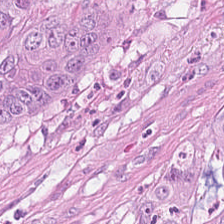H&E · 224×224 pixel tile.
Impression → tumor epithelium.
